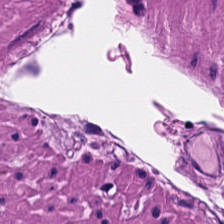Hematoxylin-and-eosin stained section; 224×224 pixel tile — Impression — smooth muscle.
